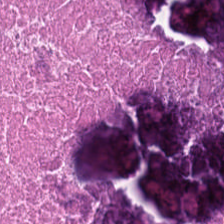The tissue class is cellular debris.
